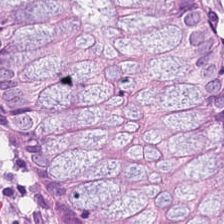Hematoxylin-and-eosin stained section · 0.5 µm per pixel — This patch shows non-neoplastic colon mucosa.
